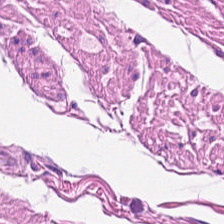H&E-stained tissue section. Tissue class = muscularis.
